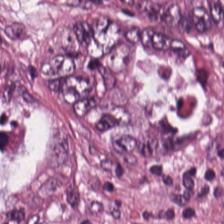0.5 microns per pixel · H&E stain · FFPE tissue section.
Histology → adenocarcinoma.
